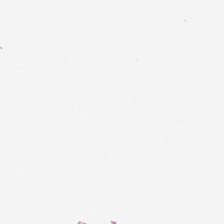H&E stain. 224×224 px patch. FFPE tissue section.
Field content = no tissue.
